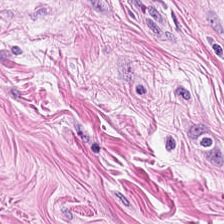Stain: H&E.
Preparation: FFPE.
Tile size: 224×224 pixel tile.
Tissue type: smooth muscle.
